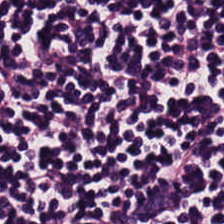H&E-stained tissue section.
Impression — lymphocyte aggregate.
